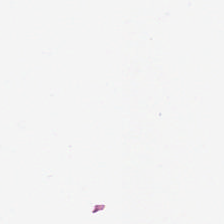{"content": "background"}
